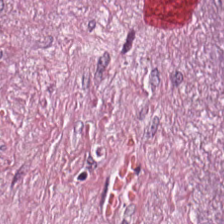H&E.
Predominant tissue: desmoplastic stroma.
